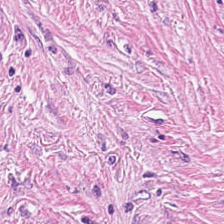Hematoxylin-and-eosin stained section; 0.5 µm/px. Showing cancer-associated stroma.
